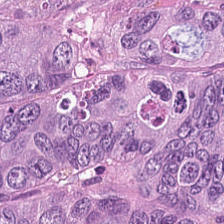Stain: H&E.
Predominant tissue: colorectal adenocarcinoma epithelium.
